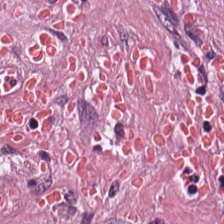224×224 px patch; H&E.
Showing desmoplastic stroma.
